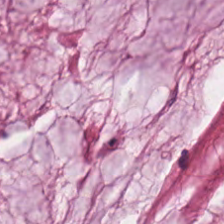Stain: H&E-stained tissue section.
Tissue class: mucin.
